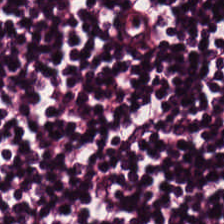H&E. Showing lymphocyte aggregate.
